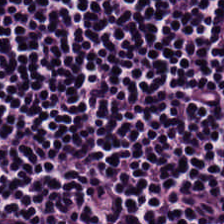Hematoxylin and eosin. Predominant tissue = lymphoid infiltrate.
